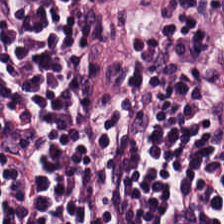H&E — lymphocytic infiltrate.
